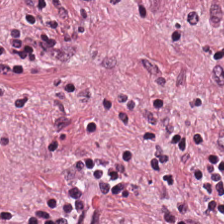224×224 pixel tile; hematoxylin-and-eosin stained section. Q: What is shown here?
A: This is tumor-associated stroma.
